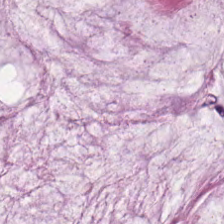Hematoxylin and eosin. This patch shows mucin.
